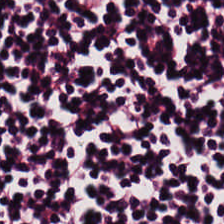Hematoxylin and eosin — Q: What tissue type is shown here?
A: It is lymphocytic infiltrate.
